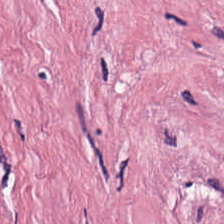Hematoxylin and eosin. FFPE tissue section — Showing cancer-associated stroma.
